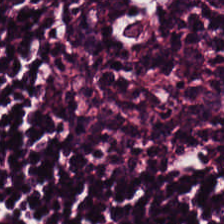H&E patch showing lymphocyte aggregate.
